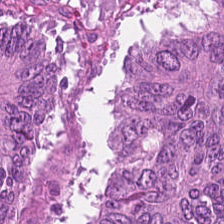Hematoxylin and eosin. 0.5 µm per pixel. Brightfield microscopy.
Classification: adenocarcinoma.
